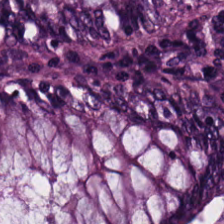Hematoxylin-and-eosin stained section. 0.5 µm per pixel. The tissue here is non-neoplastic colon mucosa.
